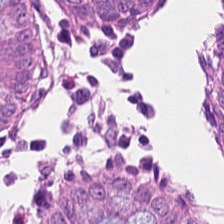H&E — normal colon mucosa.
